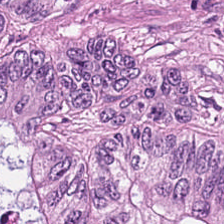H&E. Brightfield — The tissue here is tumor epithelium.
